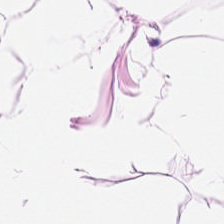H&E patch showing fat tissue.
